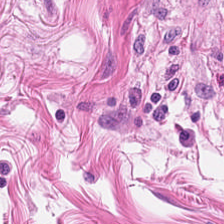Hematoxylin and eosin — This patch shows muscularis.
